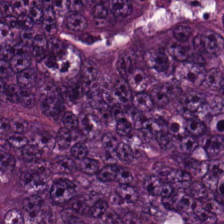WSI patch; H&E; 224×224 px tile. Q: Identify the tissue.
A: The field shows colorectal adenocarcinoma.
